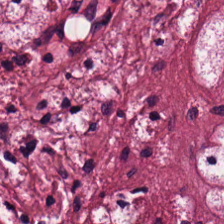H&E stain · 224×224 px tile · WSI patch.
Classification = tumor stroma.
